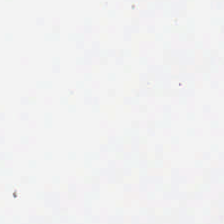Empty field — empty background.
